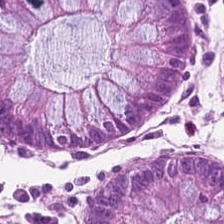Predominant tissue — normal colon mucosa.
